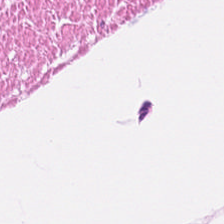Muscularis.
